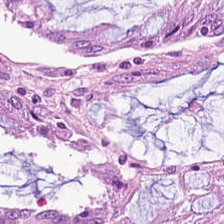Brightfield microscopy. FFPE. H&E stain — This field is normal colon mucosa.
